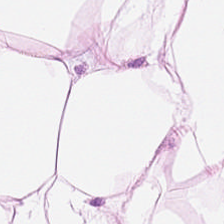Hematoxylin-and-eosin section: fat tissue.
